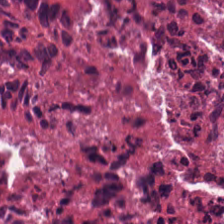Hematoxylin and eosin. Classification — necrotic debris.
